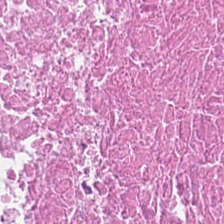Stain: H&E stain.
Preparation: FFPE.
Tile size: 224×224 pixel tile.
Tissue: necrotic debris.
